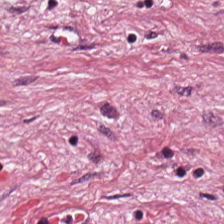Stain: hematoxylin-and-eosin stained section.
Preparation: FFPE tissue section.
Tissue class: tumor stroma.
